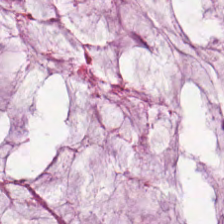Predominant tissue — mucin.
